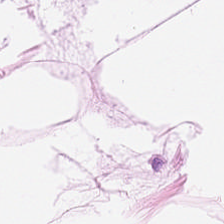H&E · 224×224 pixel tile. The tissue here is adipocytes.
